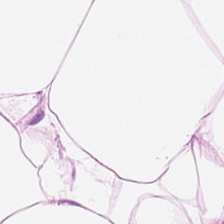224×224 pixel tile. H&E stain. The classification is adipose.
